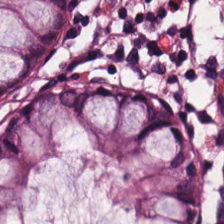0.5 µm/px. Hematoxylin and eosin — Q: What is the predominant tissue type?
A: This is benign colonic mucosa.
